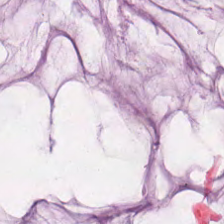FFPE tissue section · H&E — Tissue type = mucin.
